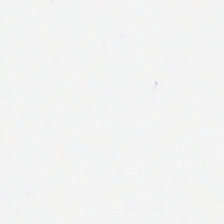H&E stain — Content — no tissue.
